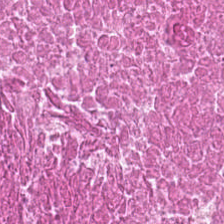H&E-stained tissue section; WSI patch.
Predominantly debris.
